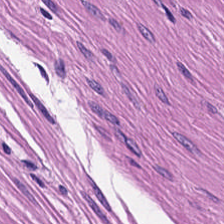Stain: H&E stain.
Tile size: 224×224 pixel tile.
Resolution: 0.5 µm per pixel.
Predominant tissue: muscularis.
